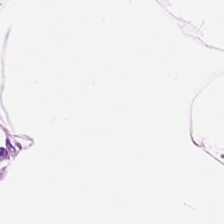Stain: H&E stain.
Tissue type: adipose.
